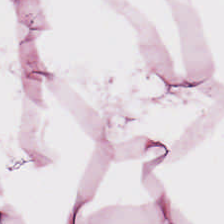H&E patch showing adipose tissue.
